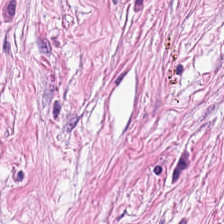Hematoxylin and eosin.
Tissue — tumor-associated stroma.
